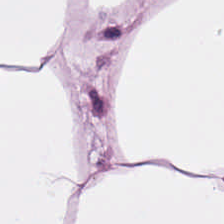Showing adipose.
